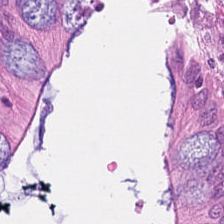Hematoxylin and eosin — The tissue here is normal colonic mucosa.
